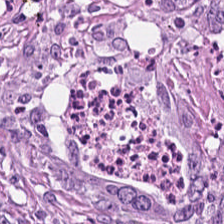FFPE; hematoxylin-and-eosin stained section — Classification = tumor stroma.
